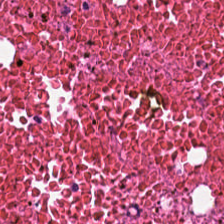This field is necrotic debris.
